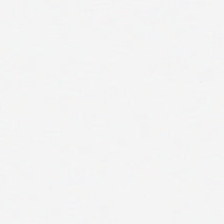H&E stain. Q: What is shown in this field?
A: The field shows no tissue.
